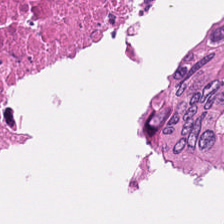Hematoxylin and eosin. {"tissue_type": "necrotic debris"}
